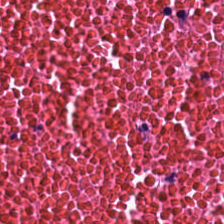H&E.
This field is cellular debris.
